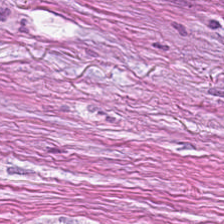H&E stain.
The tissue class is tumor-associated stroma.
